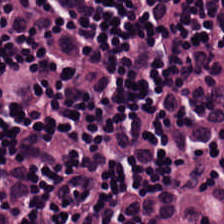Hematoxylin-and-eosin stained section. Classification = lymphocytes.
